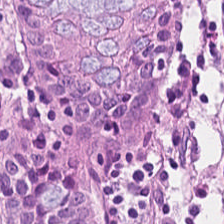Hematoxylin-and-eosin stained section. Tissue class — normal colon mucosa.
